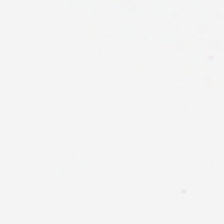H&E stain.
Empty field — background (no tissue).
